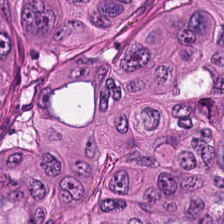Q: What is shown in this field?
A: This is colorectal adenocarcinoma epithelium.
